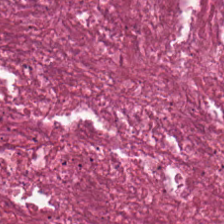Hematoxylin-and-eosin stained section. 224×224 px tile. Brightfield. The predominant tissue is debris.
